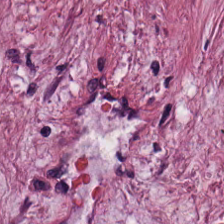H&E-stained tissue section — Tumor-associated stroma.
